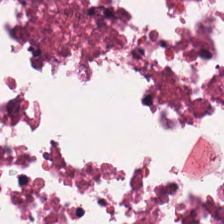H&E. Histology — necrotic debris.
